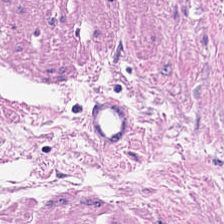Tissue: muscularis.
